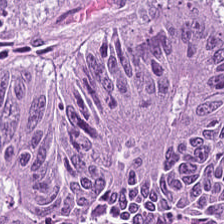H&E-stained tissue section — This patch shows adenocarcinoma.
